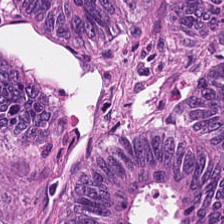H&E — Finding — colorectal adenocarcinoma epithelium.
